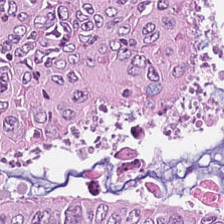The predominant tissue is colorectal adenocarcinoma epithelium.
